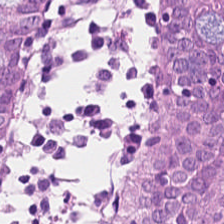H&E. {"tissue_type": "normal colon mucosa"}
